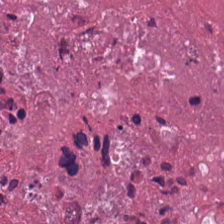Hematoxylin and eosin — {"tissue_type": "necrotic debris"}
